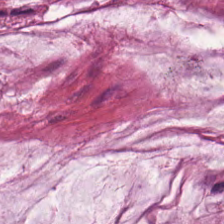Hematoxylin and eosin. Showing mucus.
